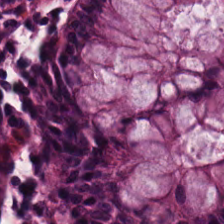Hematoxylin-and-eosin stained section — Predominant tissue: benign colonic mucosa.
